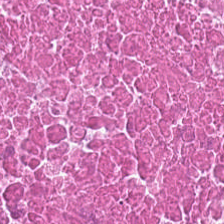Hematoxylin-and-eosin stained section. Necrotic debris.
